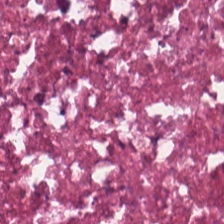Hematoxylin-and-eosin stained section. This patch shows debris.
